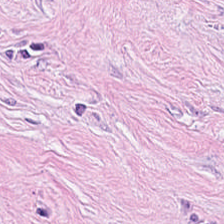Finding — tumor stroma.
